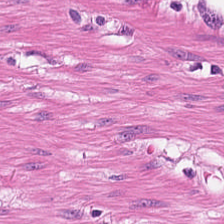Hematoxylin-and-eosin stained section; formalin-fixed paraffin-embedded section — The tissue here is smooth muscle.
